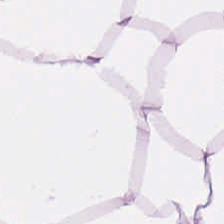Stain: H&E.
Tile size: 224×224 px patch.
Predominant tissue: adipose tissue.
